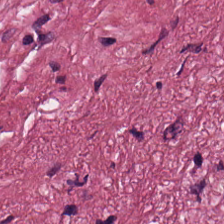H&E — desmoplastic stroma.
